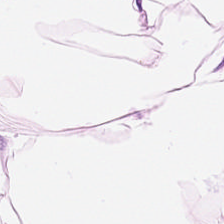Adipose tissue.
